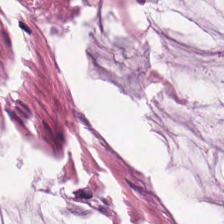Hematoxylin and eosin. Tissue — mucus.
